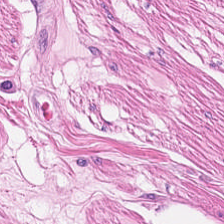Stain: H&E.
Predominant tissue: smooth-muscle tissue.
